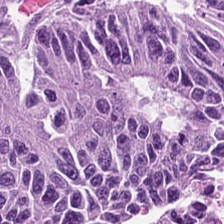FFPE · 224×224 px tile · hematoxylin-and-eosin stained section — Tissue type — adenocarcinoma.
